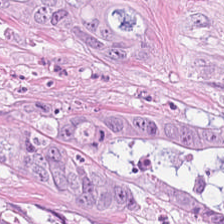0.5 microns per pixel · FFPE · H&E-stained tissue section.
Predominantly tumor epithelium.
